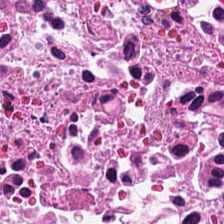Showing necrotic debris.
